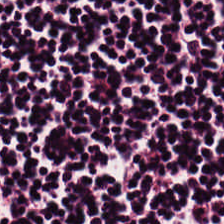WSI patch; H&E-stained tissue section. {"tissue_type": "lymphocytic infiltrate"}
